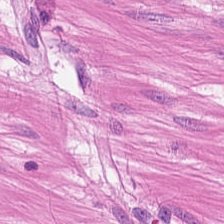Stain: H&E-stained tissue section.
Preparation: formalin-fixed paraffin-embedded section.
Tissue class: muscularis.
